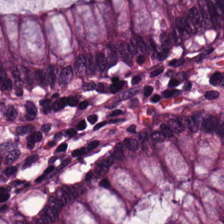H&E — Classification = normal colonic mucosa.
